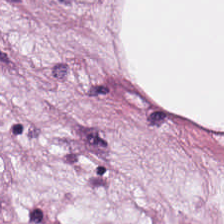Hematoxylin-and-eosin stained section. Predominant tissue — adipose tissue.
